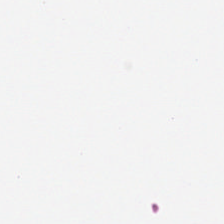Background.
